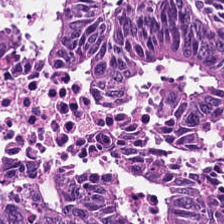Hematoxylin-and-eosin stained section.
Predominantly adenocarcinoma.
